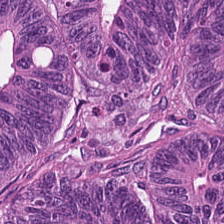Stain: hematoxylin-and-eosin stained section.
Classification: malignant epithelium.
